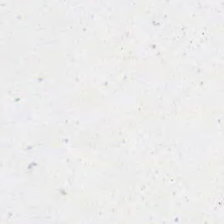Hematoxylin and eosin; 0.5 microns per pixel.
Empty background.
